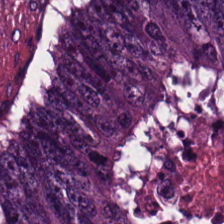Hematoxylin-and-eosin stained section — Predominant tissue: malignant epithelium.
